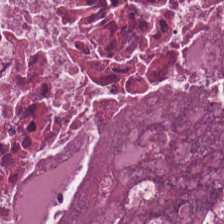H&E-stained tissue section — {"tissue_type": "cellular debris"}
